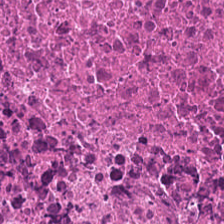FFPE tissue section; H&E stain.
Debris.
